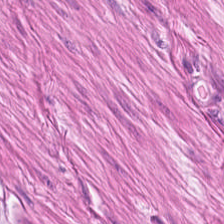Hematoxylin-and-eosin stained section.
The tissue is smooth muscle.
